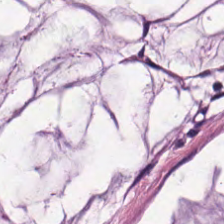Stain: H&E-stained tissue section.
Classification: mucin.
